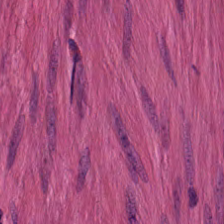H&E stain — Histology → smooth muscle.
